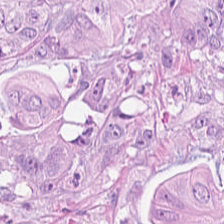Hematoxylin and eosin — Tissue type: tumor epithelium.
